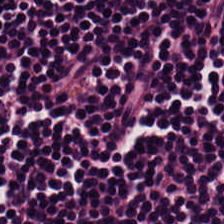H&E-stained tissue section. Q: Identify the tissue.
A: Lymphoid infiltrate.
